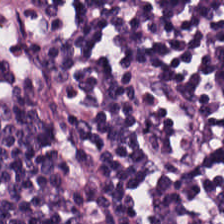0.5 µm/px · hematoxylin and eosin · brightfield — The tissue here is lymphocytes.
